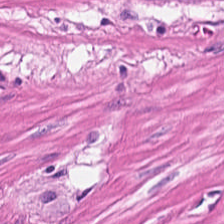H&E — Classification — smooth-muscle tissue.
